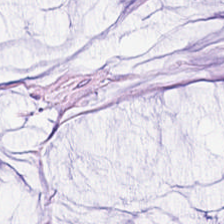224×224 px tile · H&E stain.
Tissue class = extracellular mucin.
